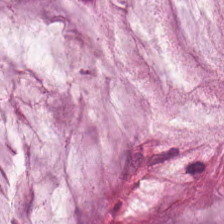FFPE tissue section. H&E-stained tissue section — Classification — mucin.
